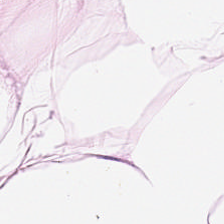H&E; whole-slide-image patch — {"tissue_type": "adipocytes"}
